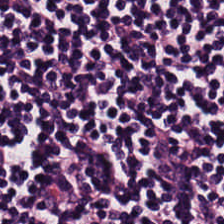FFPE tissue section. 224×224 px patch. H&E stain.
The tissue is lymphocytic infiltrate.
